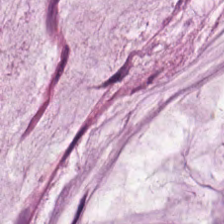H&E stain. 224×224 pixel tile.
Q: What is shown in this field?
A: This is extracellular mucin.
